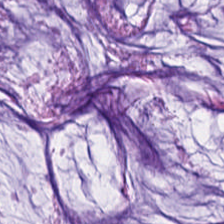Stain: hematoxylin-and-eosin stained section.
Predominant tissue: mucin.
